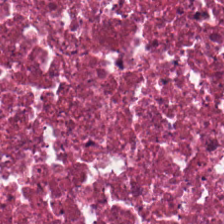H&E patch showing debris.
